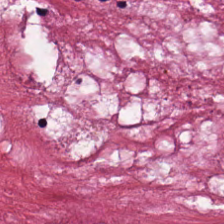H&E-stained tissue section. Whole-slide-image patch.
The predominant tissue is cancer-associated stroma.
